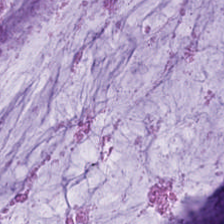This patch shows mucin.
